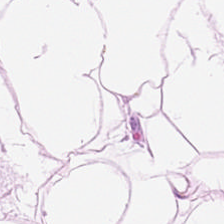Stain: H&E stain.
Tile size: 224×224 px patch.
Tissue type: fat tissue.
